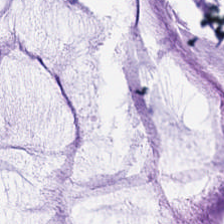Stain: hematoxylin and eosin.
Resolution: 0.5 µm per pixel.
Preparation: FFPE tissue section.
Tissue class: mucin.
